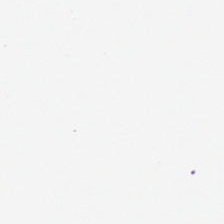H&E-stained tissue section — Q: What is shown here?
A: Empty background.
